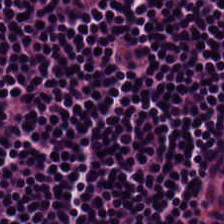H&E stain. Formalin-fixed paraffin-embedded section — Q: What is shown in this field?
A: Lymphoid infiltrate.
